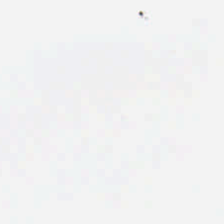Hematoxylin-and-eosin stained section · brightfield microscopy. Content: empty background.
